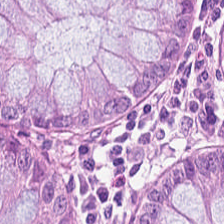Classification — benign colonic mucosa.
